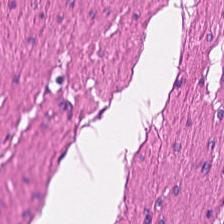H&E-stained tissue section. Finding — smooth-muscle tissue.
